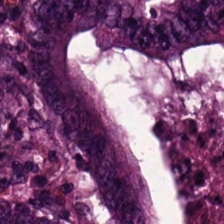{"tissue_type": "colorectal adenocarcinoma"}
